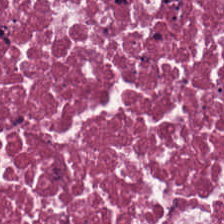H&E · 224×224 px tile.
Q: What tissue is shown?
A: This is cellular debris.
